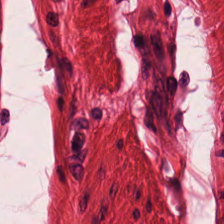H&E.
The tissue here is smooth muscle.
